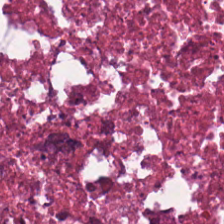Stain: H&E stain.
Preparation: FFPE.
Classification: necrotic debris.
